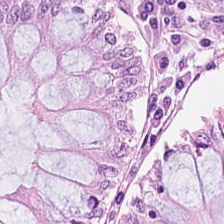Normal colonic mucosa.
